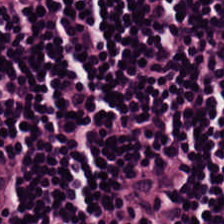H&E-stained tissue section — Showing lymphocyte aggregate.
